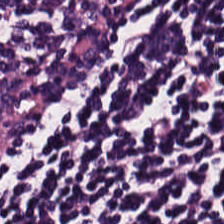0.5 µm per pixel. H&E-stained tissue section. Predominantly lymphoid infiltrate.
